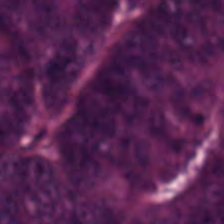20× equivalent magnification. H&E-stained tissue section — This field is colorectal adenocarcinoma epithelium.
